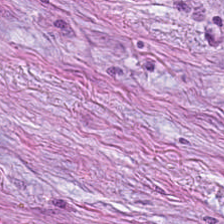Showing tumor-associated stroma.
